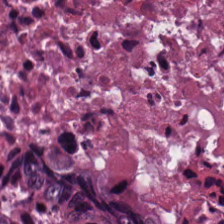Stain: hematoxylin-and-eosin stained section.
Tile size: 224×224 px tile.
Preparation: formalin-fixed paraffin-embedded section.
Classification: cellular debris.
